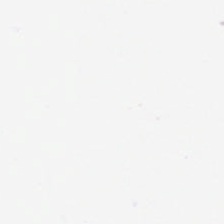H&E-stained tissue section.
Impression → background.
